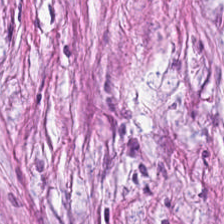Hematoxylin-and-eosin stained section.
Tissue type — cancer-associated stroma.
